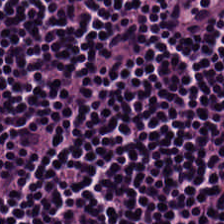Q: What is shown in this field?
A: This is lymphocytes.
